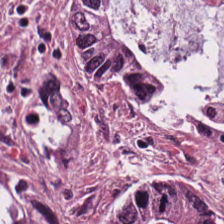224×224 px patch; FFPE tissue section; H&E stain.
Tissue type = adenocarcinoma.
